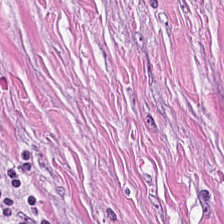224×224 px patch. H&E.
The predominant tissue is cancer-associated stroma.
